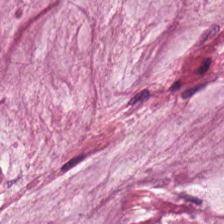Tissue type = mucus.
